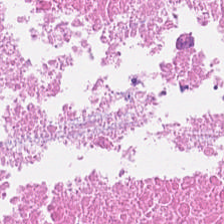Q: What does this patch show?
A: Debris.
